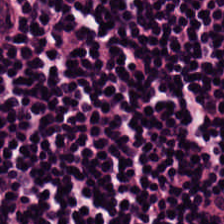Histology → lymphocytic infiltrate.
